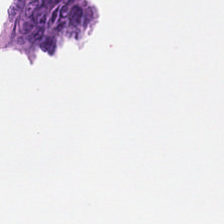H&E-stained tissue section. Q: What is shown in this field?
A: This is no tissue.
